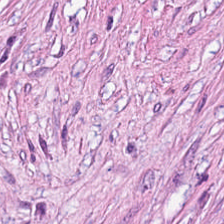H&E stain — Showing tumor stroma.
